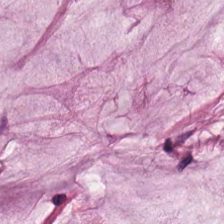Whole-slide-image patch. Hematoxylin-and-eosin stained section. FFPE — The tissue here is mucus.
